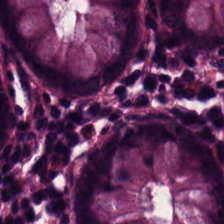H&E. This patch shows normal colonic mucosa.
